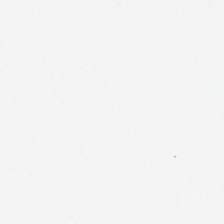H&E stain.
Classification — no tissue.
